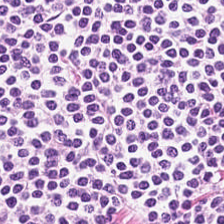H&E stain.
Showing lymphocytic infiltrate.
